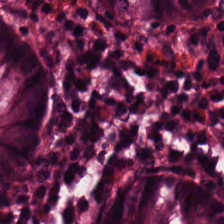H&E-stained tissue section.
The classification is normal colonic mucosa.
